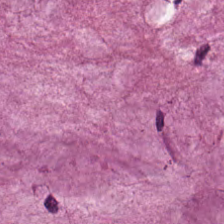224×224 px patch · hematoxylin-and-eosin stained section — Predominantly mucin.
